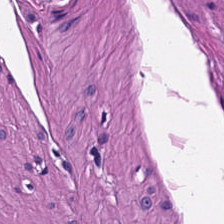Impression — muscularis.
